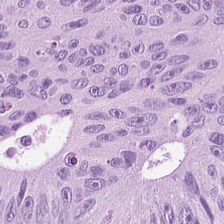H&E-stained tissue section. Histology — colorectal adenocarcinoma.
